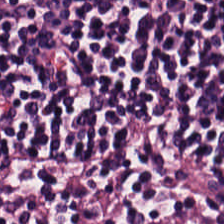Hematoxylin-and-eosin stained section; FFPE tissue section — Tissue class — lymphocytic infiltrate.
